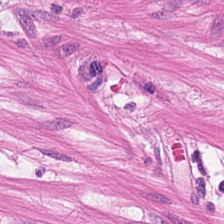Hematoxylin and eosin · FFPE — This field is smooth-muscle tissue.
